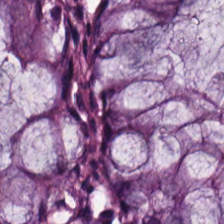Tissue: normal colonic mucosa.
